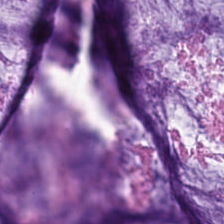Q: Classify this patch.
A: It is extracellular mucin.
